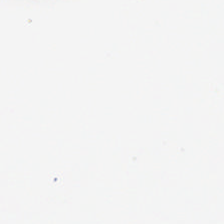H&E stain. Field content — empty background.
